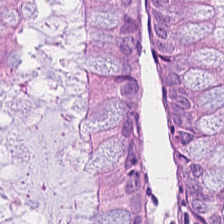Hematoxylin-and-eosin stained section — The tissue class is normal colonic mucosa.
